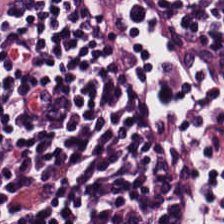Hematoxylin-and-eosin section: lymphoid infiltrate.
